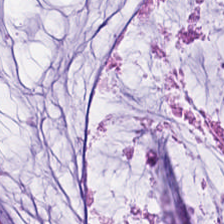Brightfield; H&E; 224×224 px tile. Impression — mucin.
